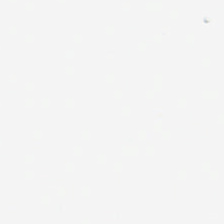Field content = background.
